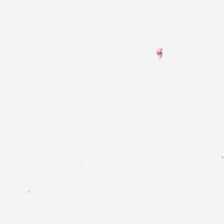H&E-stained tissue section — Background.
